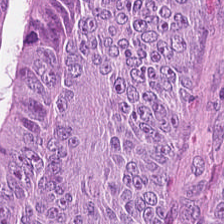H&E-stained tissue section.
Q: What type of tissue is this?
A: It is colorectal adenocarcinoma epithelium.
